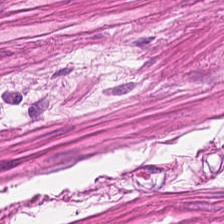224×224 pixel tile; FFPE; H&E. This field is muscularis.
